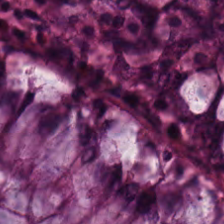Histology — benign colonic mucosa.
